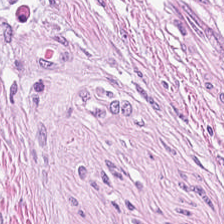Stain: H&E-stained tissue section.
Tile size: 224×224 pixel tile.
Classification: tumor-associated stroma.
